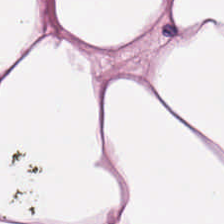Predominantly fat tissue.
